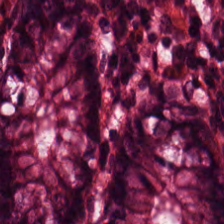Hematoxylin and eosin. 224×224 px patch.
Impression — normal colon mucosa.
